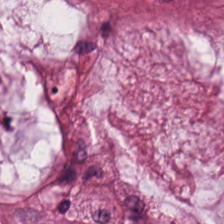H&E. 20× equivalent magnification. FFPE — Showing extracellular mucin.
